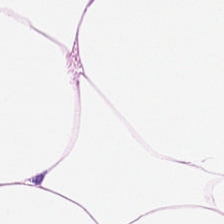Histology → adipose.
